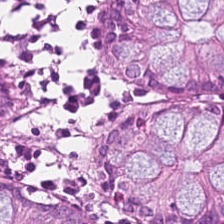Brightfield · hematoxylin-and-eosin stained section.
Tissue: normal colon mucosa.
